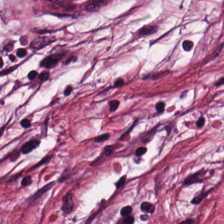Stain: H&E stain.
Tissue class: tumor stroma.
